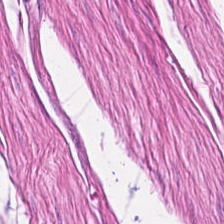Hematoxylin and eosin — Predominantly muscularis.
